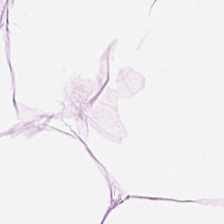H&E. WSI patch. Predominantly adipocytes.
